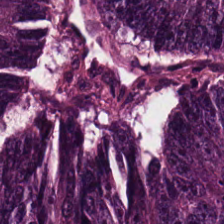Hematoxylin-and-eosin stained section. Classification: malignant epithelium.
